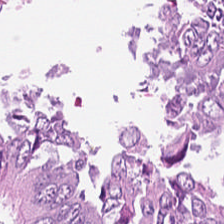Brightfield. H&E. Showing colorectal adenocarcinoma epithelium.
